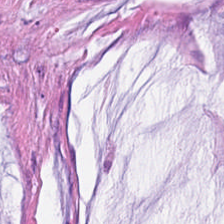Hematoxylin-and-eosin stained section. Tissue type = extracellular mucin.
